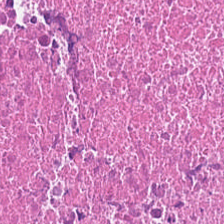Q: What is shown here?
A: This is necrotic debris.
